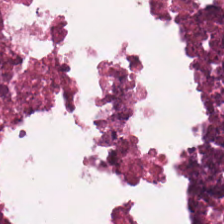H&E stain — Histology — cellular debris.
